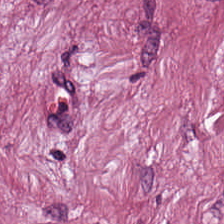H&E-stained tissue section; 0.5 microns per pixel — {"tissue_type": "tumor stroma"}
